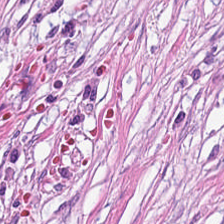H&E stain.
The predominant tissue is desmoplastic stroma.
